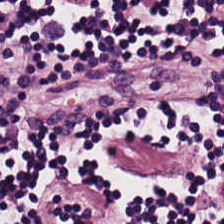Stain: H&E stain.
Predominant tissue: lymphocytic infiltrate.
